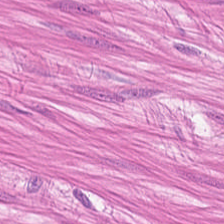H&E · WSI patch.
Tissue type: smooth muscle.
